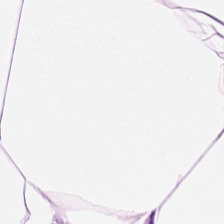This field is fat tissue.
